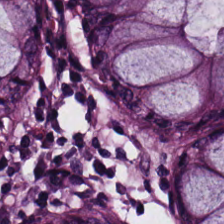H&E-stained tissue section; WSI patch.
Classification: normal colon mucosa.
